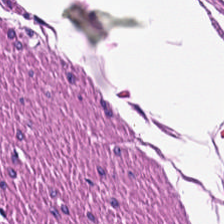Q: Identify the tissue.
A: It is muscularis.
